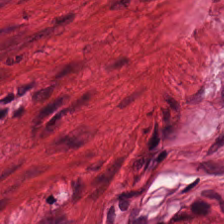H&E-stained section; the field shows muscularis.
